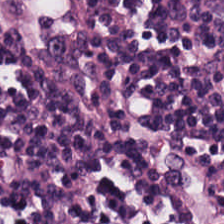Hematoxylin-and-eosin stained section. {"tissue_type": "lymphocytes"}
